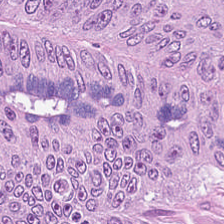Hematoxylin-and-eosin stained section.
The classification is malignant epithelium.
